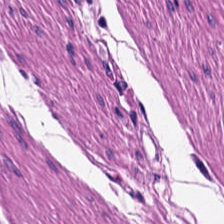Finding → smooth-muscle tissue.
